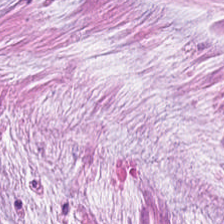224×224 px patch · hematoxylin-and-eosin stained section.
This patch shows mucus.
